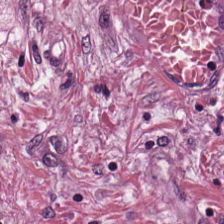H&E stain · FFPE tissue section. Showing tumor-associated stroma.
